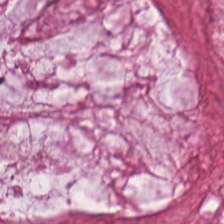0.5 microns per pixel · H&E stain · formalin-fixed paraffin-embedded section.
Predominantly extracellular mucin.
